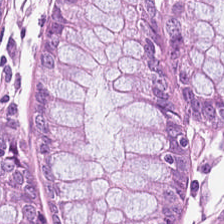H&E-stained tissue section · whole-slide-image patch · 20× equivalent magnification.
The tissue is non-neoplastic colon mucosa.
